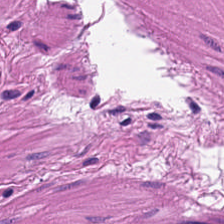Hematoxylin and eosin — Q: What is shown in this field?
A: Muscularis.
